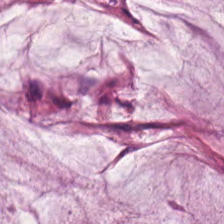Stain: H&E stain.
Tissue type: mucin.
